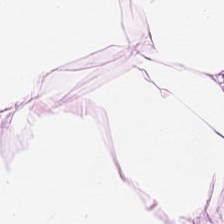Hematoxylin and eosin; 224×224 px tile.
Histology — adipose.
